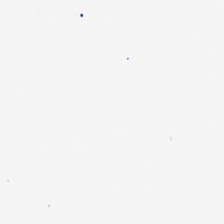224×224 px tile · H&E stain. Q: What is shown here?
A: Empty background.
